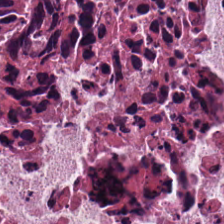H&E stain — Tissue — debris.
